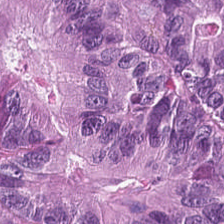224×224 px patch. 0.5 µm per pixel. H&E-stained tissue section — Classification: colorectal adenocarcinoma epithelium.
